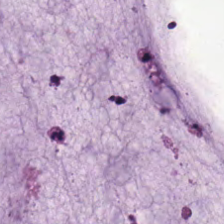Hematoxylin and eosin; 224×224 px patch; FFPE tissue section. Showing mucin.
